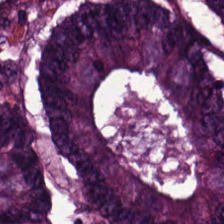{"tissue_type": "colorectal adenocarcinoma"}
